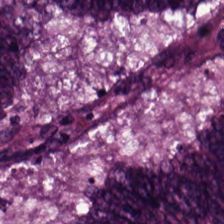H&E. 0.5 microns per pixel.
Predominant tissue: colorectal adenocarcinoma epithelium.
